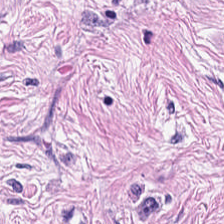224×224 pixel tile. H&E stain — Tissue type — tumor stroma.
